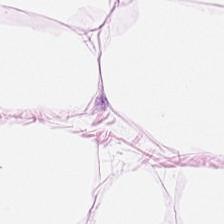0.5 µm per pixel; H&E-stained tissue section; whole-slide-image patch — Tissue type: adipocytes.
